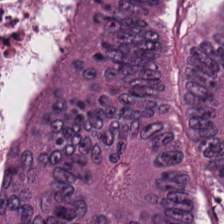20× equivalent magnification · brightfield microscopy · hematoxylin-and-eosin stained section.
Q: What is shown in this field?
A: It is colorectal adenocarcinoma epithelium.
